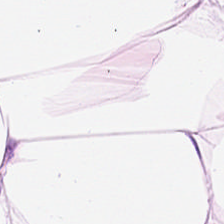Hematoxylin and eosin.
Predominantly adipocytes.
